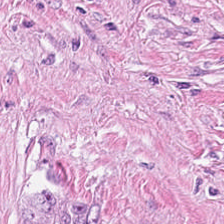The predominant tissue is tumor-associated stroma.
